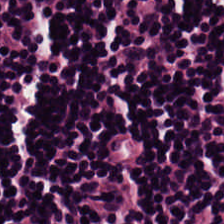Stain: H&E stain.
Classification: lymphocytic infiltrate.
